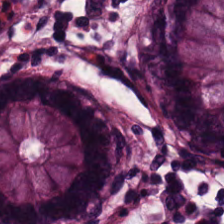H&E stain.
Q: What tissue is shown?
A: It is normal colonic mucosa.
